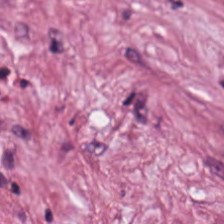Stain: hematoxylin and eosin.
Tissue: cancer-associated stroma.
